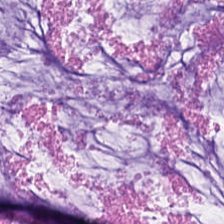Q: What does this patch show?
A: It is extracellular mucin.
